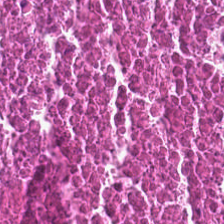The tissue here is debris.
